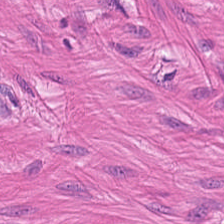0.5 µm per pixel · H&E stain · WSI patch — The predominant tissue is smooth-muscle tissue.
